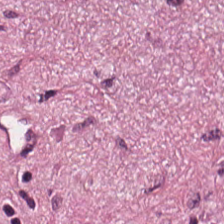Q: What does this patch show?
A: The field shows tumor stroma.
